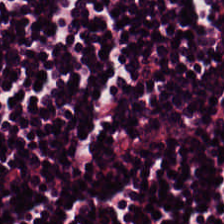Hematoxylin-and-eosin stained section. Whole-slide-image patch. FFPE tissue section.
This field is lymphocytes.
